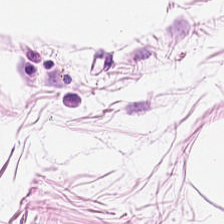Hematoxylin and eosin. The tissue here is adipose.
